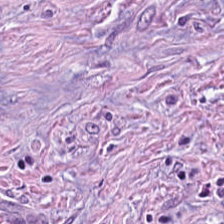224×224 px patch · H&E-stained tissue section. The predominant tissue is cancer-associated stroma.
